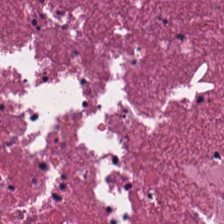Formalin-fixed paraffin-embedded section; 224×224 pixel tile; H&E stain — Finding → necrotic debris.
